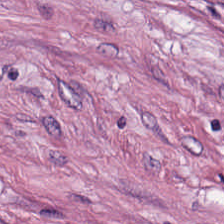H&E; FFPE — Q: What type of tissue is this?
A: Desmoplastic stroma.
